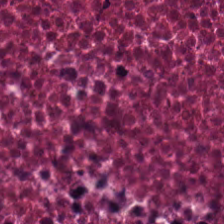Finding — necrotic debris.
